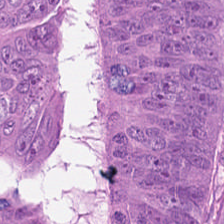0.5 µm/px; hematoxylin-and-eosin stained section — Predominant tissue: colorectal adenocarcinoma.
